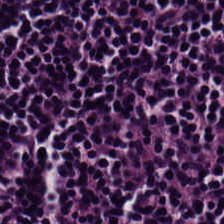WSI patch. Hematoxylin-and-eosin stained section — Predominantly lymphocytic infiltrate.
